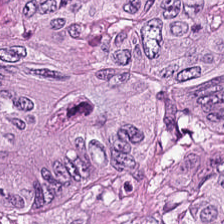Hematoxylin and eosin · 0.5 µm/px.
Impression → adenocarcinoma.
